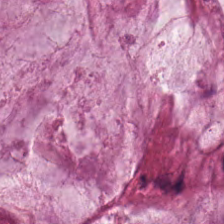H&E-stained tissue section — Tissue class — extracellular mucin.
